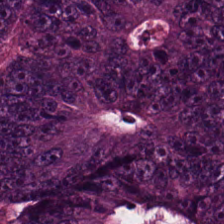Hematoxylin-and-eosin stained section.
{"tissue_type": "colorectal adenocarcinoma"}
